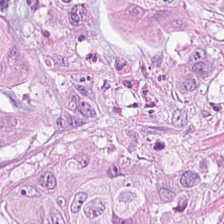FFPE tissue section · WSI patch · H&E. This patch shows colorectal adenocarcinoma.
